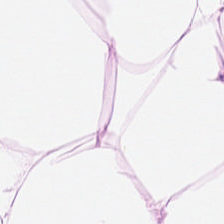224×224 px patch; H&E — Tissue type — adipose tissue.
